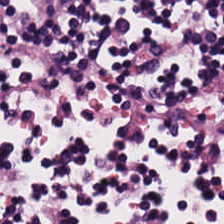Formalin-fixed paraffin-embedded section · 0.5 µm/px · H&E — Tissue class — lymphoid infiltrate.
